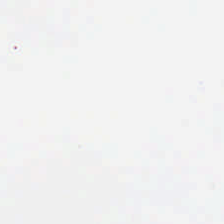Hematoxylin-and-eosin stained section. No tissue present; background only.
